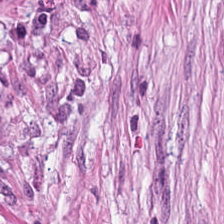Hematoxylin-and-eosin stained section; formalin-fixed paraffin-embedded section.
Desmoplastic stroma.
